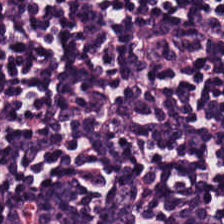Brightfield; H&E.
Q: What is shown in this field?
A: The field shows lymphocyte aggregate.
